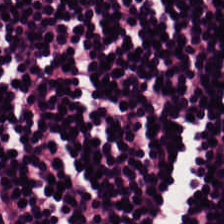H&E-stained section; the field shows lymphocytic infiltrate.
